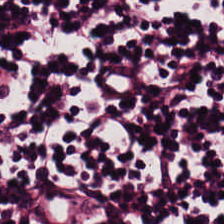Q: What tissue is shown?
A: Lymphoid infiltrate.
